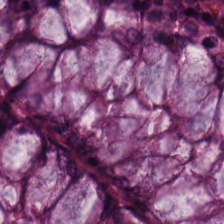Stain: hematoxylin and eosin.
Tissue type: normal colonic mucosa.
